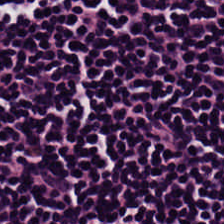Hematoxylin and eosin. Brightfield.
This field is lymphocytes.
